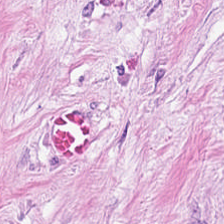Impression — desmoplastic stroma.
